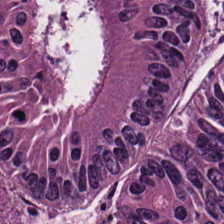The predominant tissue is colorectal adenocarcinoma.
